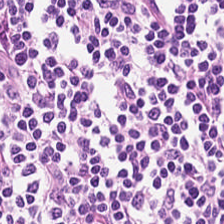224×224 px patch · H&E-stained tissue section — Histology — lymphoid infiltrate.
